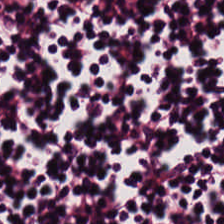H&E — lymphoid infiltrate.
